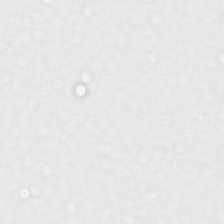0.5 µm/px; H&E stain — Background.
